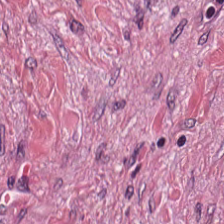Stain: H&E stain.
Acquisition: brightfield microscopy.
Tile size: 224×224 px patch.
Predominant tissue: desmoplastic stroma.
